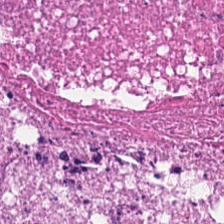This patch shows necrotic debris.
